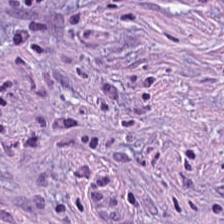Stain: H&E stain.
Classification: tumor stroma.
